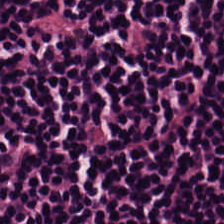Q: What tissue type is shown here?
A: Lymphocyte aggregate.
